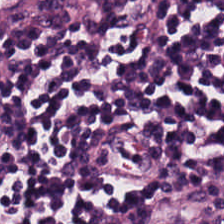Showing lymphoid infiltrate.
